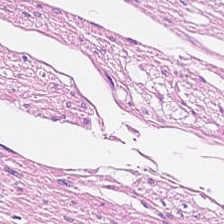Stain: hematoxylin-and-eosin stained section.
Classification: smooth-muscle tissue.
